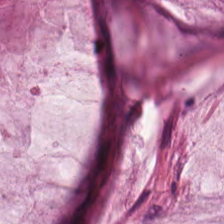The tissue class is mucus.
